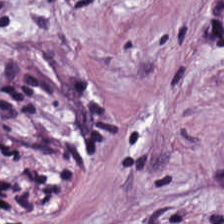Hematoxylin and eosin.
Q: What is shown here?
A: It is tumor stroma.
